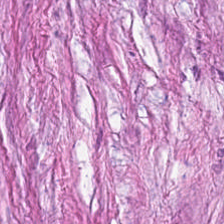H&E-stained tissue section — Cancer-associated stroma.
